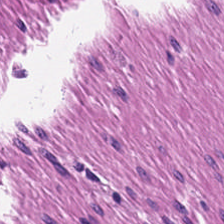Hematoxylin-and-eosin stained section. Tissue = muscularis.
